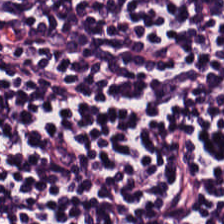The tissue here is lymphocytes.
